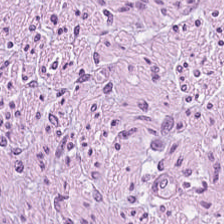H&E-stained tissue section.
This patch shows cancer-associated stroma.
